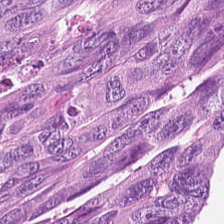Impression — colorectal adenocarcinoma.
